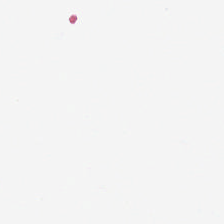H&E-stained tissue section. WSI patch. 0.5 microns per pixel. Empty background.
